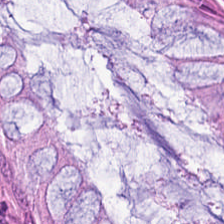H&E-stained tissue section showing normal colon mucosa.
